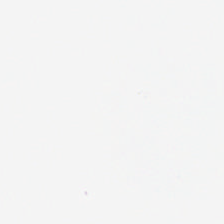Hematoxylin and eosin — The field content is empty background.
